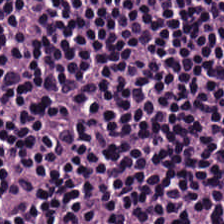H&E — lymphocytic infiltrate.
